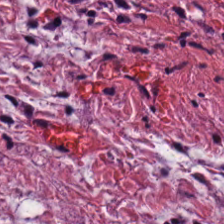Tissue — cancer-associated stroma.
